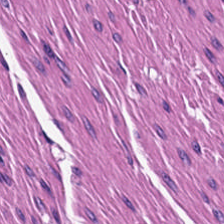H&E-stained tissue section. Brightfield. 0.5 microns per pixel. Q: What tissue is shown?
A: It is smooth-muscle tissue.
